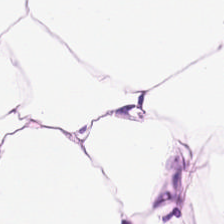H&E. Predominantly adipose.
